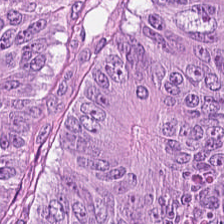Hematoxylin and eosin.
Q: What tissue type is shown here?
A: Tumor epithelium.
